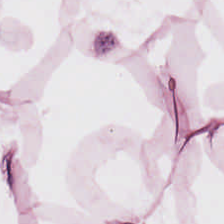224×224 px tile; 20× equivalent magnification; hematoxylin and eosin.
Adipose.
